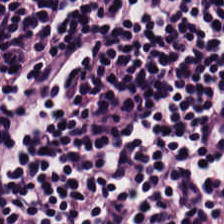Stain: H&E stain.
Preparation: FFPE tissue section.
Classification: lymphocytes.
